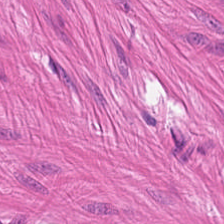Hematoxylin-and-eosin stained section — The predominant tissue is muscularis.
